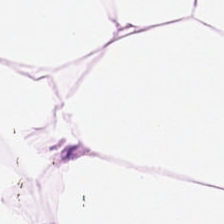Brightfield. H&E stain. 224×224 px patch.
The tissue class is adipose.
